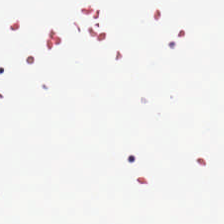H&E stain. Finding → background (no tissue).
